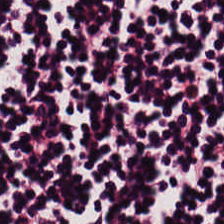H&E; 0.5 microns per pixel; 224×224 px tile.
Lymphocyte aggregate.
